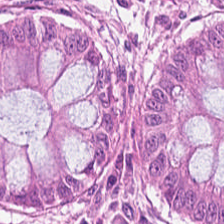Formalin-fixed paraffin-embedded section. Hematoxylin and eosin — Q: What type of tissue is this?
A: It is non-neoplastic colon mucosa.
